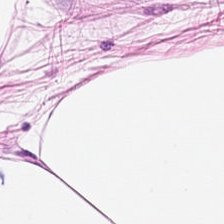H&E-stained tissue section. Predominant tissue = fat tissue.
